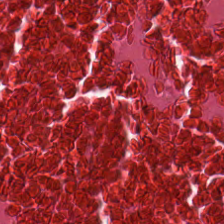224×224 pixel tile. Hematoxylin and eosin.
The tissue here is necrotic debris.
